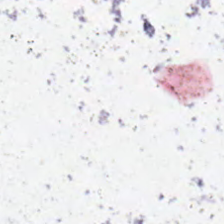H&E · 224×224 px tile.
Empty field — background.
